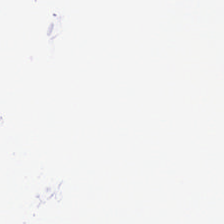Stain: hematoxylin and eosin.
Preparation: formalin-fixed paraffin-embedded section.
Content: background (no tissue).
